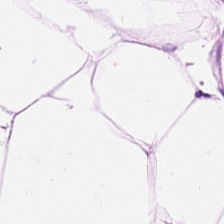Hematoxylin and eosin.
Q: What type of tissue is this?
A: It is adipocytes.
